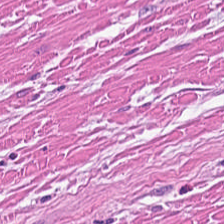Stain: H&E stain.
Classification: muscularis.
